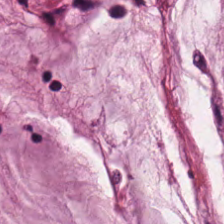Stain: H&E-stained tissue section.
Preparation: formalin-fixed paraffin-embedded section.
Classification: extracellular mucin.
